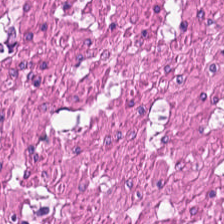Q: What type of tissue is this?
A: Smooth muscle.
